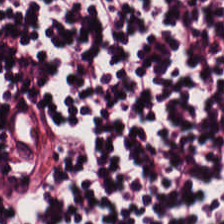Hematoxylin-and-eosin stained section — Q: What tissue type is shown here?
A: The field shows lymphocyte aggregate.
